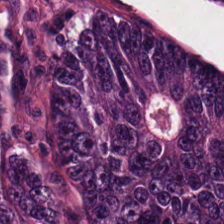H&E. Brightfield microscopy.
Tissue type = colorectal adenocarcinoma.
